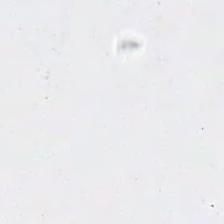H&E. Empty field — background.
